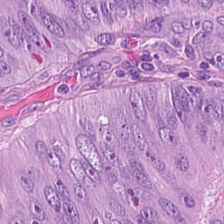Classification: malignant epithelium.
